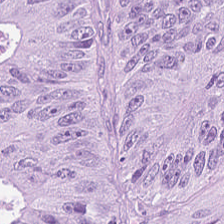0.5 µm per pixel. H&E.
Q: What is the predominant tissue type?
A: This is colorectal adenocarcinoma epithelium.
